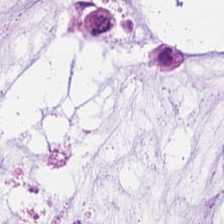Hematoxylin and eosin — Mucus.
